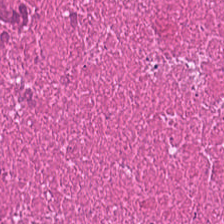Hematoxylin and eosin; 20× equivalent magnification. Tissue type = necrotic debris.
